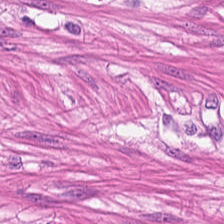H&E.
Q: Classify this patch.
A: Muscularis.
